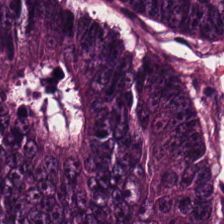H&E stain. WSI patch. Formalin-fixed paraffin-embedded section — This patch shows colorectal adenocarcinoma.
